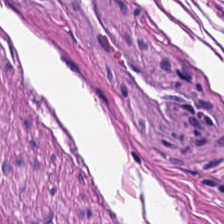H&E-stained section; the field shows smooth-muscle tissue.
